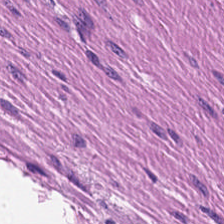Finding → muscularis.
